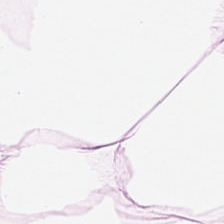Hematoxylin-and-eosin stained section. Q: What type of tissue is this?
A: This is fat tissue.
